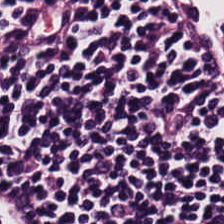Whole-slide-image patch; hematoxylin-and-eosin stained section; FFPE — Classification = lymphocytic infiltrate.
